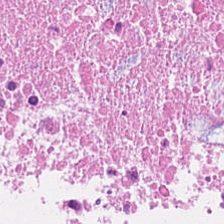Stain: hematoxylin-and-eosin stained section.
Tissue class: debris.
